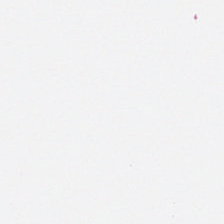Hematoxylin-and-eosin stained section. Empty field — background.
